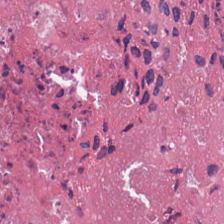Showing cellular debris.
